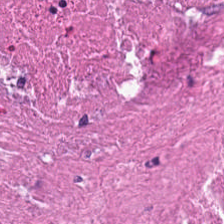H&E stain. This patch shows cellular debris.
